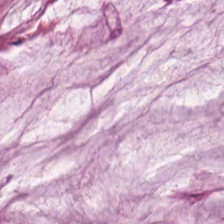Hematoxylin-and-eosin stained section.
Tissue class — mucin.
